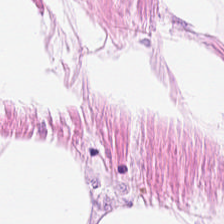H&E — Predominant tissue = adipose.
